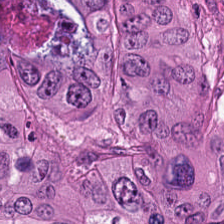H&E-stained tissue section. The tissue is tumor epithelium.
